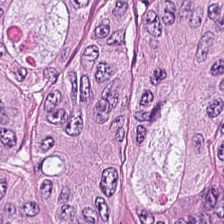Showing adenocarcinoma.
